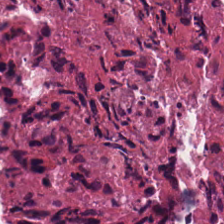Hematoxylin-and-eosin stained section.
Q: What does this patch show?
A: Cellular debris.
